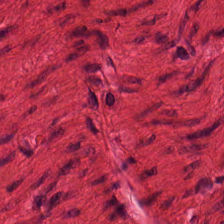H&E-stained section; the field shows smooth muscle.
